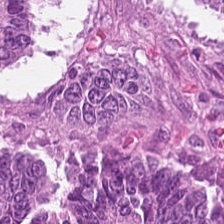H&E stain.
Q: What is shown here?
A: The field shows adenocarcinoma.
